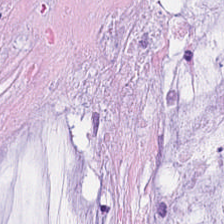Hematoxylin and eosin. Finding — extracellular mucin.
